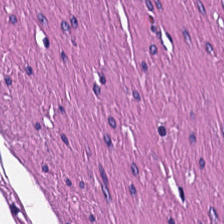H&E-stained tissue section. The tissue here is muscularis.
